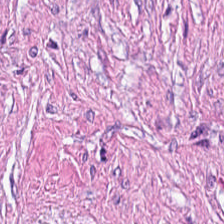Hematoxylin and eosin; 0.5 microns per pixel; whole-slide-image patch — This patch shows desmoplastic stroma.
